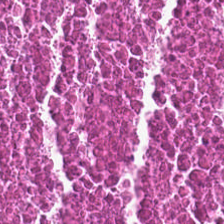Stain: hematoxylin and eosin.
Tissue class: cellular debris.
